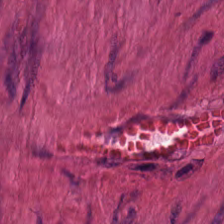Q: What does this patch show?
A: Muscularis.
